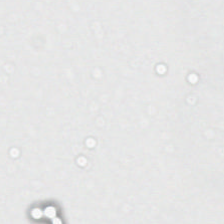Hematoxylin-and-eosin stained section — Empty background.
